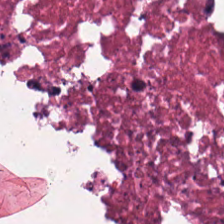0.5 microns per pixel · FFPE tissue section · H&E-stained tissue section — This field is necrotic debris.
